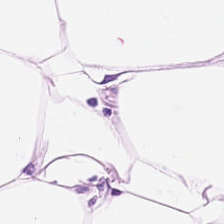Stain: H&E.
Tissue class: adipose tissue.
